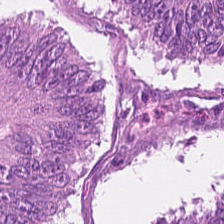Stain: H&E-stained tissue section.
Resolution: 0.5 µm/px.
Classification: tumor epithelium.
